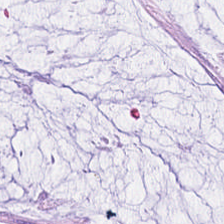Brightfield; H&E stain — Impression → mucin.
